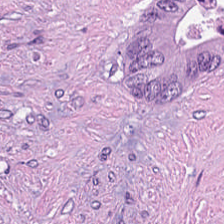H&E-stained tissue section — The predominant tissue is necrotic debris.
